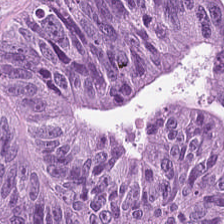Hematoxylin-and-eosin stained section — This patch shows colorectal adenocarcinoma epithelium.
